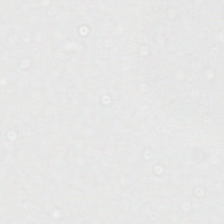H&E-stained tissue section — Histology — empty background.
